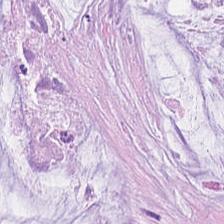H&E · 224×224 pixel tile · WSI patch — Q: What is shown here?
A: The field shows extracellular mucin.
